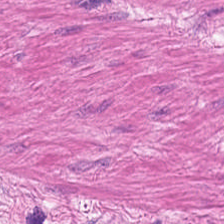H&E stain — Classification: muscularis.
